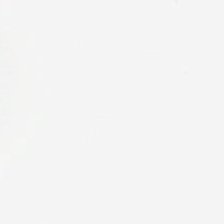Hematoxylin-and-eosin stained section — Classification: background.
